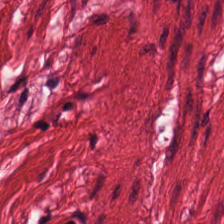Stain: hematoxylin-and-eosin stained section.
Acquisition: whole-slide-image patch.
Tissue type: smooth-muscle tissue.
